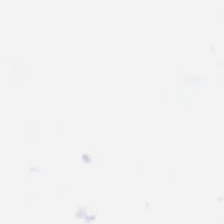Background (no tissue).
